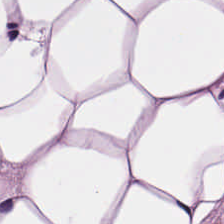Q: Classify this patch.
A: Adipose.
